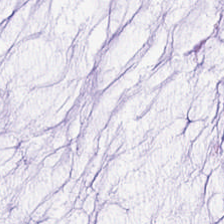Stain: H&E stain.
Preparation: FFPE tissue section.
Tissue type: mucus.
